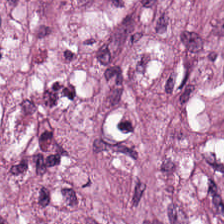Predominant tissue — tumor-associated stroma.
